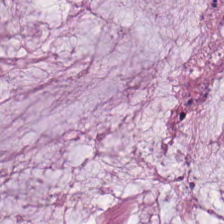Formalin-fixed paraffin-embedded section · H&E stain — The tissue type is mucin.
